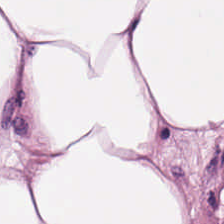0.5 µm per pixel. H&E. 224×224 pixel tile.
Impression → adipose tissue.
